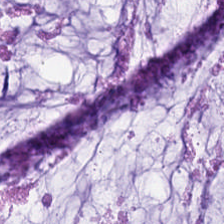Hematoxylin-and-eosin stained section. Formalin-fixed paraffin-embedded section.
Predominant tissue = extracellular mucin.
